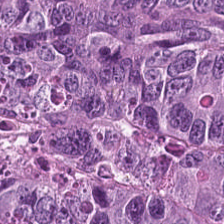H&E stain — Predominant tissue: adenocarcinoma.
